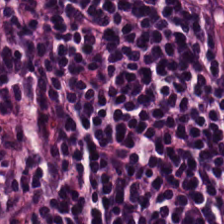Stain: hematoxylin and eosin.
Tissue type: lymphocytes.
